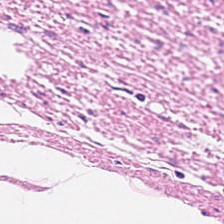H&E stain — The tissue is smooth-muscle tissue.
